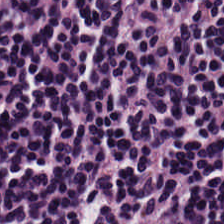H&E stain. Classification: lymphocytes.
